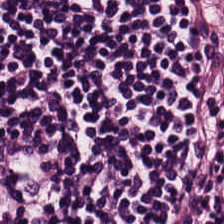H&E.
Showing lymphocytes.
